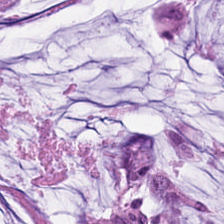Stain: hematoxylin and eosin.
Resolution: 0.5 µm per pixel.
Predominant tissue: extracellular mucin.
